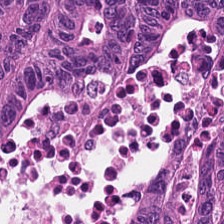Stain: hematoxylin-and-eosin stained section.
Tile size: 224×224 pixel tile.
Classification: tumor epithelium.
